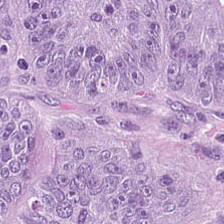0.5 µm/px. H&E — Tissue type = colorectal adenocarcinoma.
